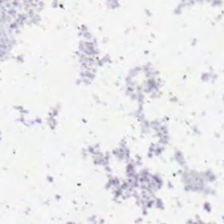Stain: hematoxylin and eosin.
Classification: background (no tissue).
